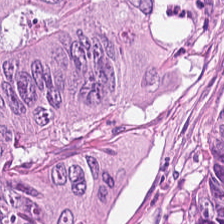H&E stain. Q: What tissue type is shown here?
A: This is adenocarcinoma.
